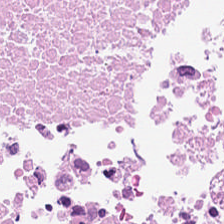Brightfield · FFPE tissue section · H&E-stained tissue section. This field is debris.
